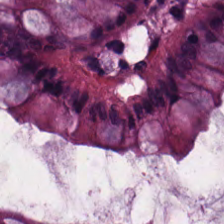Classification: normal colon mucosa.
